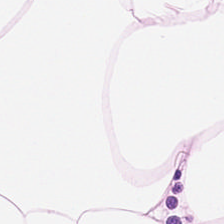Stain: H&E.
Tissue class: adipose.
